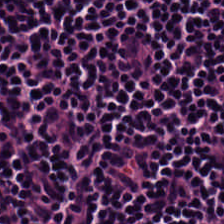H&E · 224×224 pixel tile. Tissue type: lymphocyte aggregate.
